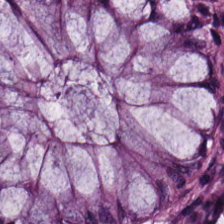20× equivalent magnification · hematoxylin and eosin. Q: What type of tissue is this?
A: Normal colonic mucosa.
